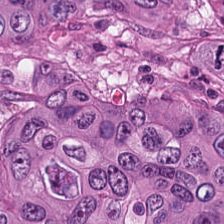The tissue class is malignant epithelium.
